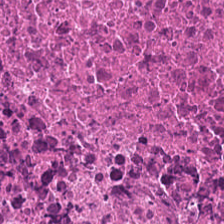H&E — The predominant tissue is debris.
